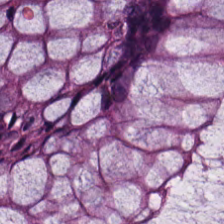Formalin-fixed paraffin-embedded section. H&E stain. 224×224 pixel tile — Tissue — normal colon mucosa.
